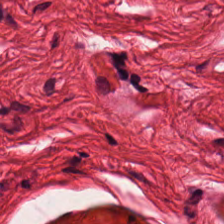H&E-stained tissue section.
{"tissue_type": "smooth-muscle tissue"}
